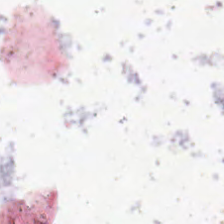H&E stain · WSI patch.
Background — no tissue in this field.
